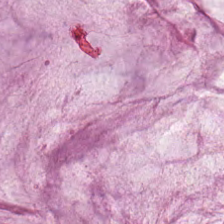Brightfield · hematoxylin-and-eosin stained section · 224×224 pixel tile — Q: What tissue type is shown here?
A: It is mucin.
